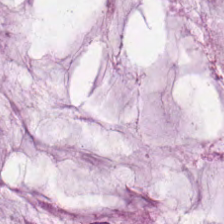Hematoxylin-and-eosin stained section. Q: What is shown in this field?
A: It is mucus.
